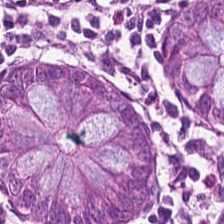FFPE; hematoxylin-and-eosin stained section; 224×224 px tile.
Impression — normal colon mucosa.
